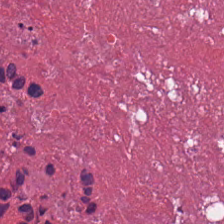Hematoxylin and eosin. 0.5 µm/px — Impression — debris.
